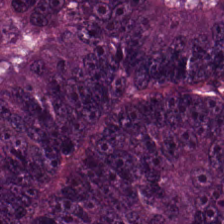H&E stain.
Tissue class — colorectal adenocarcinoma epithelium.
